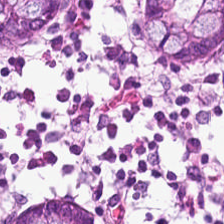H&E. Tissue type — non-neoplastic colon mucosa.
